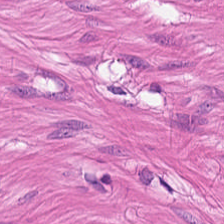Brightfield; H&E — Smooth muscle.
